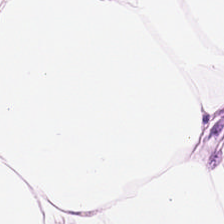Hematoxylin-and-eosin stained section. Brightfield microscopy — Q: What tissue is shown?
A: Fat tissue.
